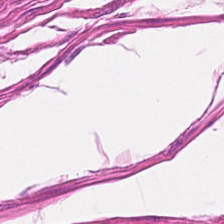Stain: hematoxylin-and-eosin stained section.
Tissue type: smooth muscle.
